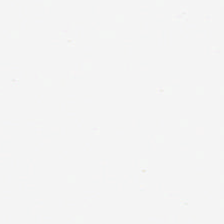Brightfield microscopy · hematoxylin and eosin · FFPE tissue section. This field is background (no tissue).
